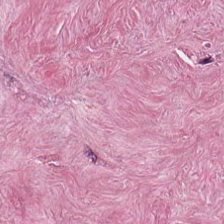Hematoxylin-and-eosin stained section — The predominant tissue is cancer-associated stroma.
